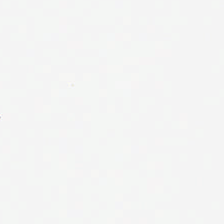H&E-stained tissue section.
The classification is background (no tissue).
